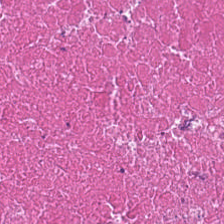The predominant tissue is debris.
